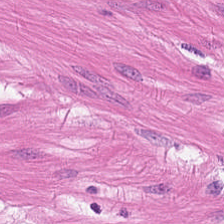H&E stain — The tissue here is smooth muscle.
